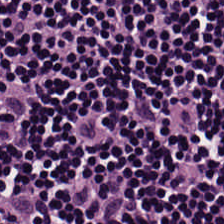Hematoxylin and eosin; brightfield.
The predominant tissue is lymphocyte aggregate.
